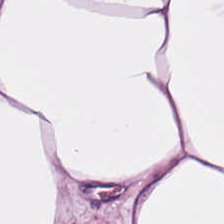WSI patch · H&E — Showing adipocytes.
